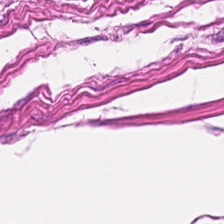H&E — {"tissue_type": "smooth muscle"}
